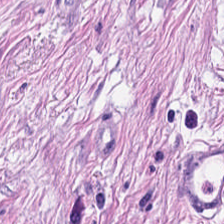Hematoxylin-and-eosin stained section. Whole-slide-image patch. Predominantly smooth-muscle tissue.
